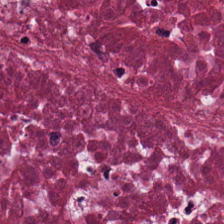Hematoxylin-and-eosin stained section · brightfield microscopy · 224×224 px tile — Showing necrotic debris.
